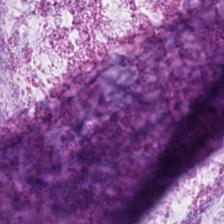224×224 px patch; H&E-stained tissue section. Tissue class — mucin.
